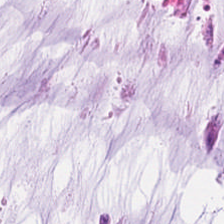The predominant tissue is extracellular mucin.
